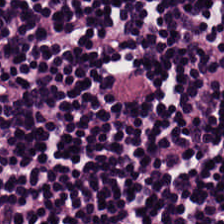Q: What is the predominant tissue type?
A: Lymphocyte aggregate.
